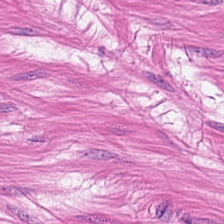Hematoxylin-and-eosin stained section. Q: Identify the tissue.
A: Smooth-muscle tissue.
